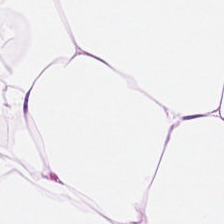H&E stain. 0.5 µm per pixel — The tissue here is adipose.
